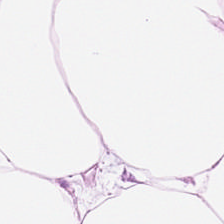Hematoxylin-and-eosin stained section; FFPE tissue section. Classification: adipose tissue.
